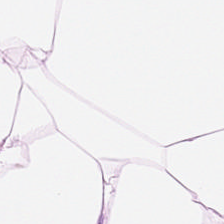H&E-stained tissue section. {"tissue_type": "adipose"}
